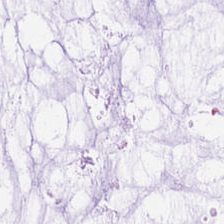Stain: H&E.
Tile size: 224×224 px tile.
Preparation: FFPE.
Tissue: mucus.
